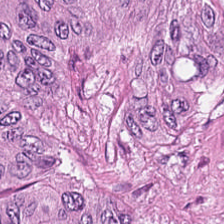Hematoxylin and eosin — The predominant tissue is tumor epithelium.
